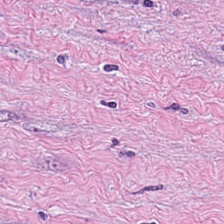Predominant tissue: tumor stroma.
